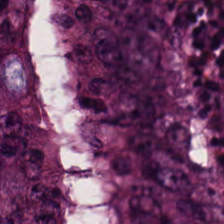Hematoxylin-and-eosin stained section · whole-slide-image patch.
{"tissue_type": "malignant epithelium"}
